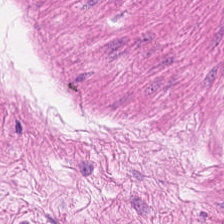Predominant tissue: muscularis.
